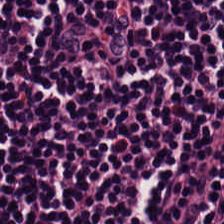H&E-stained tissue section · formalin-fixed paraffin-embedded section.
The predominant tissue is lymphocytic infiltrate.
